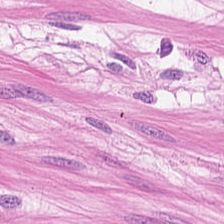Finding → smooth-muscle tissue.
